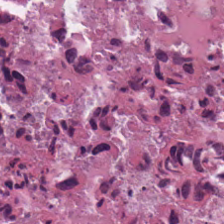H&E stain; formalin-fixed paraffin-embedded section; 224×224 px patch.
Classification: necrotic debris.
